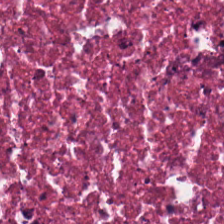0.5 µm/px. Hematoxylin and eosin. 224×224 pixel tile. This field is necrotic debris.
